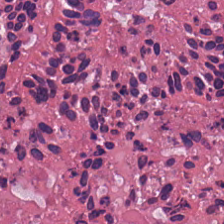H&E. Tissue: debris.
